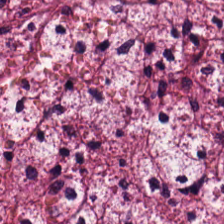224×224 pixel tile; 20× equivalent magnification; H&E. Predominantly desmoplastic stroma.
